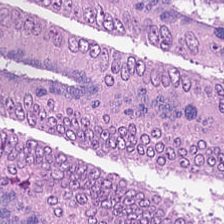H&E — tumor epithelium.
